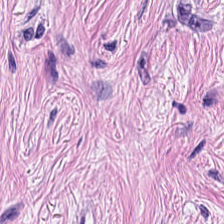0.5 µm per pixel. H&E-stained tissue section.
The predominant tissue is tumor stroma.
